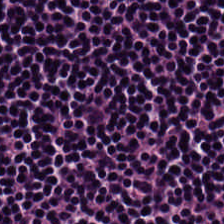224×224 px patch · hematoxylin-and-eosin stained section · brightfield.
The predominant tissue is lymphocytes.
